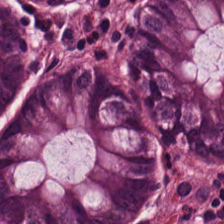Stain: hematoxylin and eosin.
Tissue type: normal colon mucosa.
